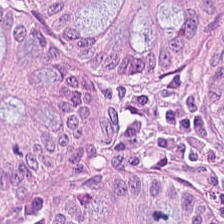H&E — non-neoplastic colon mucosa.
